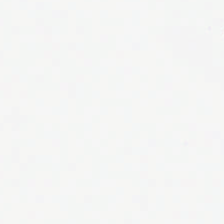Hematoxylin-and-eosin stained section — Classification = empty background.
